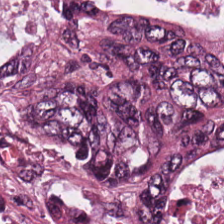The predominant tissue is colorectal adenocarcinoma epithelium.
